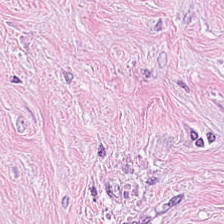224×224 px tile. Hematoxylin-and-eosin stained section — This field is cancer-associated stroma.
